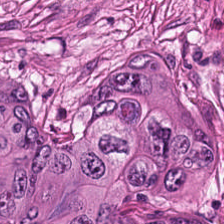Hematoxylin and eosin.
Q: Classify this patch.
A: The field shows malignant epithelium.
